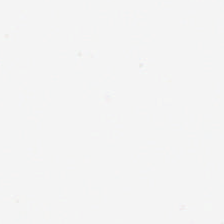H&E stain.
Field content — background.
